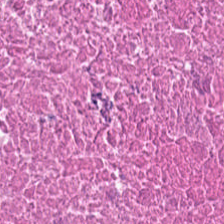H&E stain; 0.5 microns per pixel.
Classification: debris.
